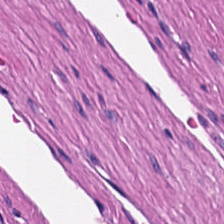The tissue is muscularis.
